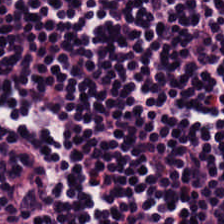Hematoxylin and eosin; WSI patch — {"tissue_type": "lymphoid infiltrate"}
